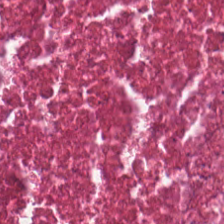Tissue type: cellular debris.
